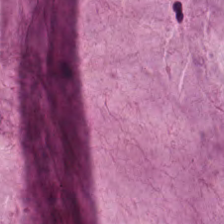224×224 px patch. Hematoxylin and eosin. The tissue class is mucus.
